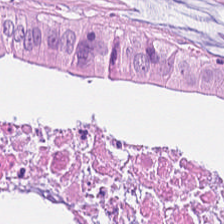Q: Classify this patch.
A: It is colorectal adenocarcinoma.
